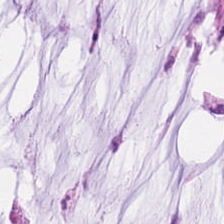H&E-stained tissue section.
{"tissue_type": "extracellular mucin"}
